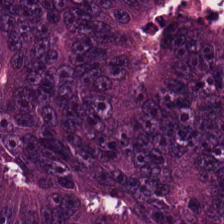Hematoxylin-and-eosin stained section · 20× equivalent magnification.
Classification: malignant epithelium.
